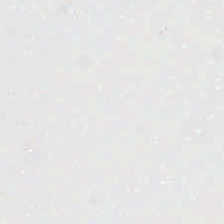H&E-stained tissue section. {"content": "empty background"}
